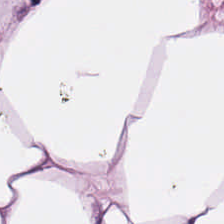Predominant tissue: adipose tissue.
